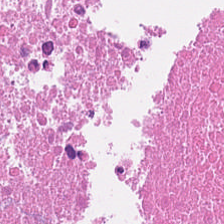This patch shows debris.
